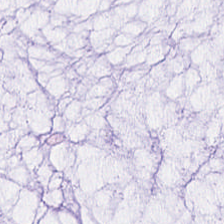Q: What is shown in this field?
A: This is extracellular mucin.
